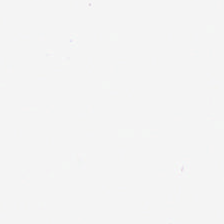Hematoxylin and eosin. Formalin-fixed paraffin-embedded section — The classification is background.
